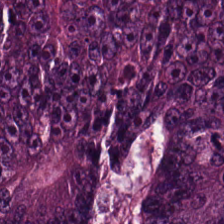Hematoxylin and eosin. Classification: malignant epithelium.
